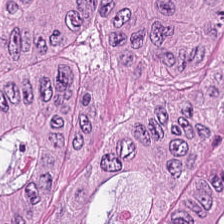0.5 µm/px; H&E-stained tissue section.
Q: Identify the tissue.
A: The field shows adenocarcinoma.
